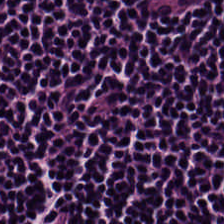Stain: hematoxylin-and-eosin stained section.
Classification: lymphocyte aggregate.
